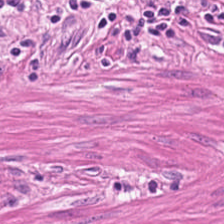224×224 pixel tile. Hematoxylin-and-eosin stained section. 0.5 µm/px.
Q: What tissue is shown?
A: The field shows muscularis.
